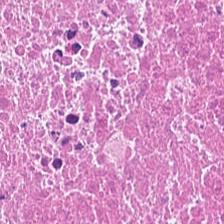20× equivalent magnification. Hematoxylin and eosin — Tissue class = debris.
